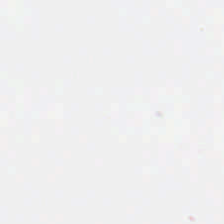Stain: H&E-stained tissue section.
Field content: no tissue.
